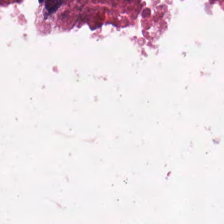Q: Classify this patch.
A: It is cellular debris.
